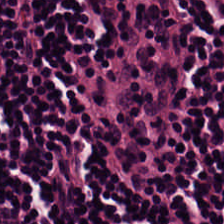The classification is lymphocytic infiltrate.
